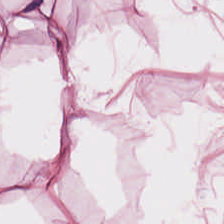H&E stain; formalin-fixed paraffin-embedded section; 0.5 µm per pixel. Classification — adipocytes.
